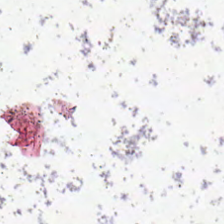Hematoxylin and eosin. Content: empty background.
